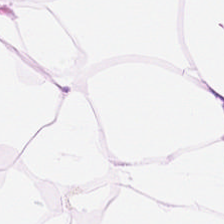H&E stain · 20× equivalent magnification.
Tissue — adipocytes.
